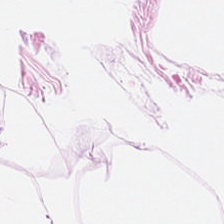Stain: H&E.
Classification: fat tissue.
